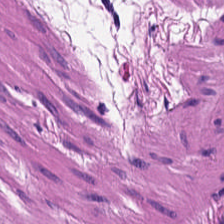Stain: H&E-stained tissue section.
Preparation: formalin-fixed paraffin-embedded section.
Resolution: 0.5 µm/px.
Predominant tissue: smooth muscle.
